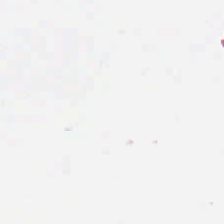Hematoxylin-and-eosin stained section. Finding — background (no tissue).
